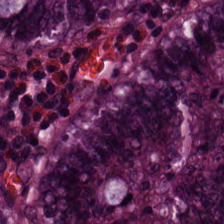Hematoxylin and eosin — This patch shows non-neoplastic colon mucosa.
